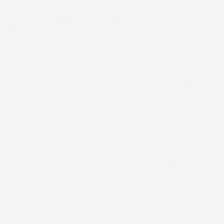Empty field — background (no tissue).
